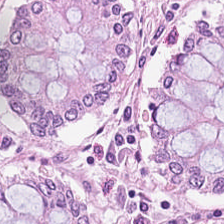The predominant tissue is normal colon mucosa.
